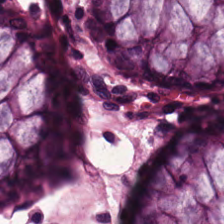Hematoxylin and eosin — Predominantly benign colonic mucosa.
